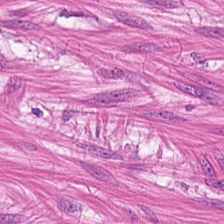Stain: H&E.
Predominant tissue: smooth-muscle tissue.
